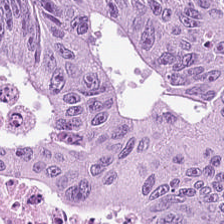Q: What type of tissue is this?
A: The field shows colorectal adenocarcinoma.
